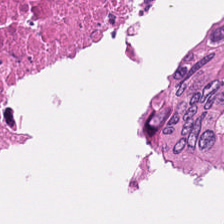Q: What tissue is shown?
A: This is cellular debris.
